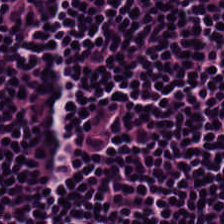Hematoxylin and eosin. FFPE.
This patch shows lymphocytes.
